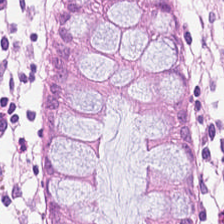224×224 px patch · 0.5 µm/px · H&E stain.
Q: What type of tissue is this?
A: Normal colonic mucosa.
